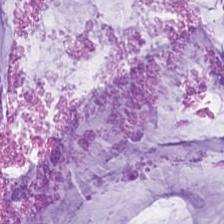H&E-stained tissue section; 224×224 px tile; whole-slide-image patch. Mucin.
